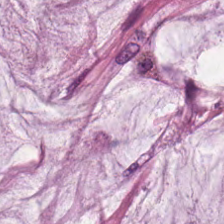Hematoxylin-and-eosin stained section — Classification = mucus.
